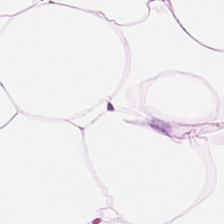Stain: H&E-stained tissue section.
Predominant tissue: fat tissue.
